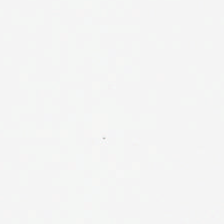H&E-stained tissue section.
This field is background (no tissue).
